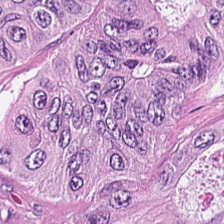The predominant tissue is adenocarcinoma.
